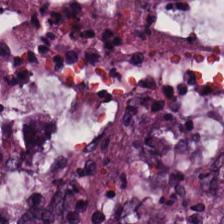H&E stain. 0.5 µm per pixel — Showing colorectal adenocarcinoma.
